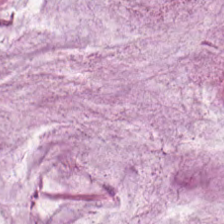Hematoxylin and eosin. 0.5 µm/px.
Classification = mucin.
